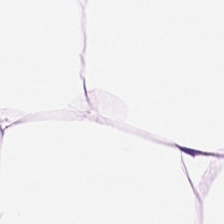Histology — adipose.
